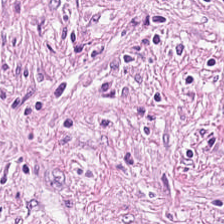H&E — desmoplastic stroma.
